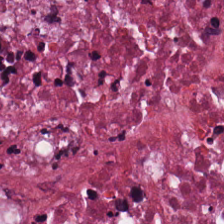H&E stain — Tissue — necrotic debris.
